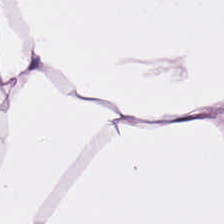H&E. FFPE. 0.5 microns per pixel — Q: Classify this patch.
A: Adipose tissue.
